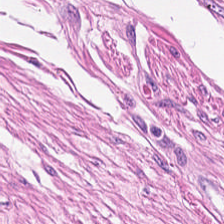H&E-stained tissue section. Predominant tissue — smooth-muscle tissue.
